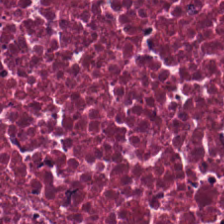H&E stain — Showing debris.
